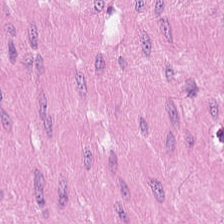Hematoxylin and eosin; brightfield. Q: What type of tissue is this?
A: This is smooth muscle.
